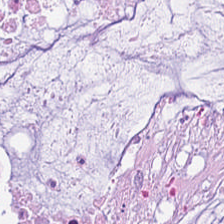Predominant tissue = mucin.
